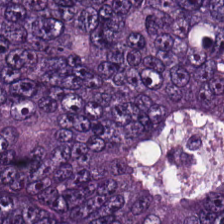Hematoxylin and eosin; 224×224 px tile; 20× equivalent magnification — The predominant tissue is colorectal adenocarcinoma epithelium.
